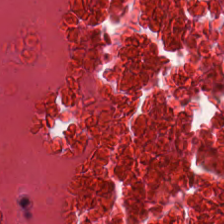Impression → cellular debris.
